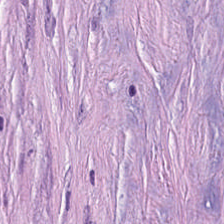H&E stain — Q: Classify this patch.
A: This is desmoplastic stroma.
